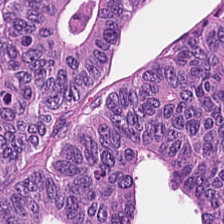FFPE; H&E. The classification is colorectal adenocarcinoma epithelium.
